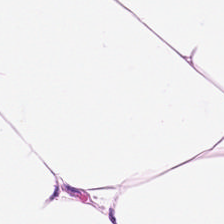224×224 pixel tile · hematoxylin and eosin.
The predominant tissue is adipose.
